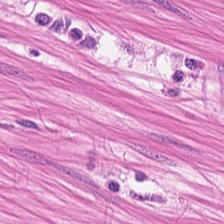H&E stain; brightfield.
Tissue class — muscularis.
